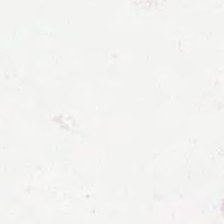224×224 px tile; H&E. Classification: no tissue.
